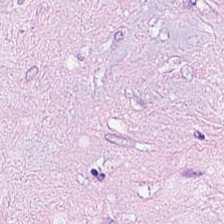Desmoplastic stroma.
